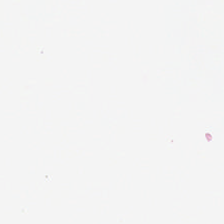Whole-slide-image patch. 0.5 µm per pixel. Hematoxylin-and-eosin stained section.
The field content is no tissue.
